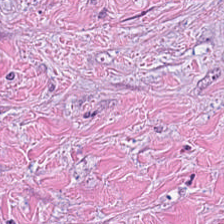Stain: hematoxylin-and-eosin stained section.
Tissue type: desmoplastic stroma.
